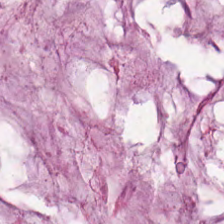H&E stain.
The tissue here is extracellular mucin.
